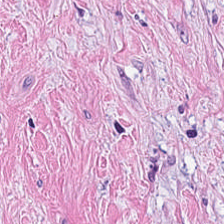FFPE; hematoxylin and eosin; 224×224 px tile — {"tissue_type": "cancer-associated stroma"}
